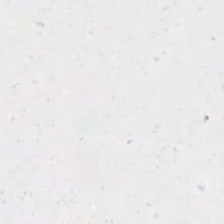Background — no tissue in this field.
